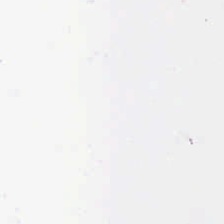H&E — This patch shows background.
